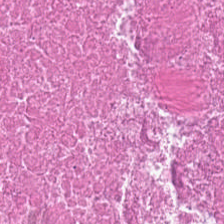H&E — Impression — debris.
